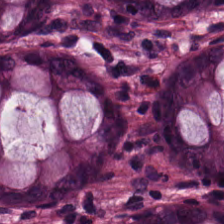H&E. FFPE.
Impression — normal colonic mucosa.
